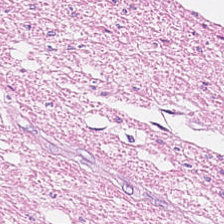Hematoxylin-and-eosin stained section; brightfield.
Smooth-muscle tissue.
